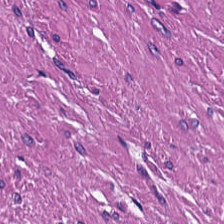Hematoxylin-and-eosin stained section — This patch shows smooth muscle.
